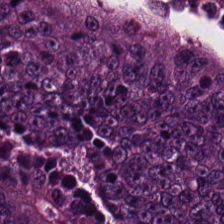Stain: H&E.
Tissue class: malignant epithelium.
